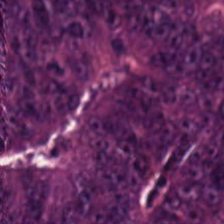Whole-slide-image patch; hematoxylin and eosin. This patch shows colorectal adenocarcinoma.
